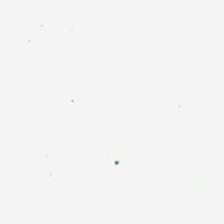Q: What does this patch show?
A: This is no tissue.
